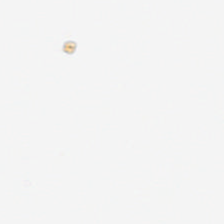0.5 µm/px · brightfield microscopy · hematoxylin and eosin.
Impression → empty background.
